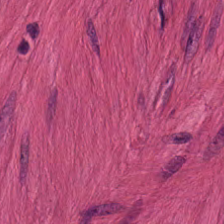Stain: hematoxylin-and-eosin stained section.
Tile size: 224×224 px tile.
Tissue: smooth-muscle tissue.
